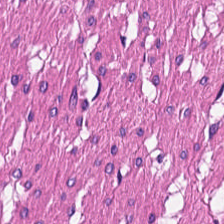Predominantly smooth-muscle tissue.
